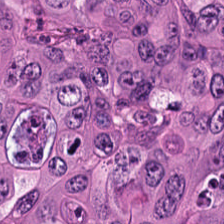Stain: H&E-stained tissue section.
Resolution: 0.5 microns per pixel.
Acquisition: whole-slide-image patch.
Tissue: tumor epithelium.
